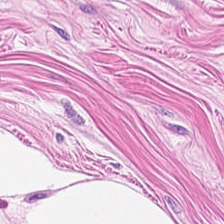H&E-stained tissue section · 224×224 pixel tile · 0.5 microns per pixel.
Q: What is shown here?
A: Muscularis.
